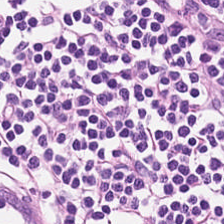H&E · 0.5 µm/px · whole-slide-image patch.
Predominantly lymphocytic infiltrate.
